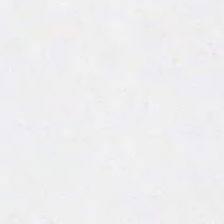0.5 µm/px · hematoxylin-and-eosin stained section.
Background — no tissue in this field.
